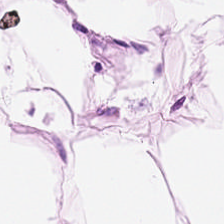Hematoxylin-and-eosin stained section. The classification is adipose tissue.
